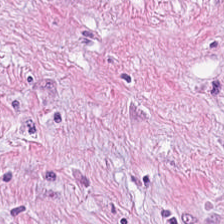Predominantly cancer-associated stroma.
